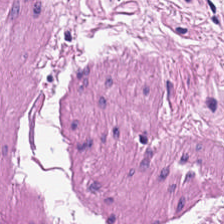H&E-stained tissue section — The tissue type is muscularis.
